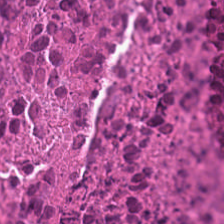Hematoxylin and eosin. Predominantly cellular debris.
